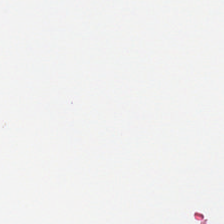H&E-stained tissue section.
The field content is background.
